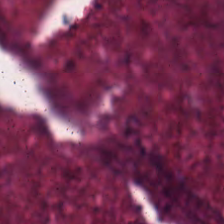H&E. WSI patch — Q: What is shown in this field?
A: It is necrotic debris.
